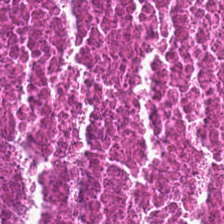This field is necrotic debris.
